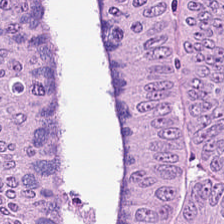Hematoxylin-and-eosin stained section; 20× equivalent magnification; 224×224 pixel tile. Predominantly malignant epithelium.
